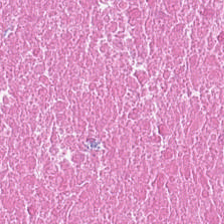224×224 pixel tile. Hematoxylin and eosin. FFPE. This field is debris.
